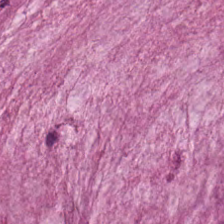Hematoxylin and eosin. 224×224 pixel tile. 0.5 µm/px. Q: What is the predominant tissue type?
A: The field shows extracellular mucin.
